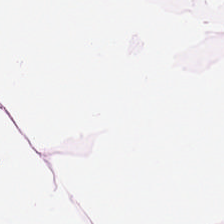Hematoxylin-and-eosin stained section.
The classification is adipocytes.
